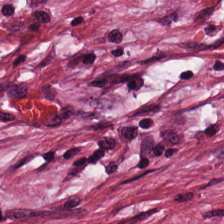H&E.
Impression — desmoplastic stroma.
